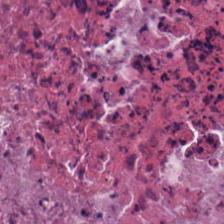0.5 µm per pixel; H&E stain; WSI patch.
Q: What tissue is shown?
A: The field shows cellular debris.
